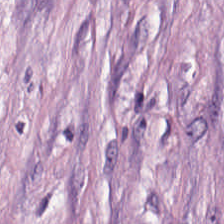H&E-stained tissue section.
Tissue class — desmoplastic stroma.
